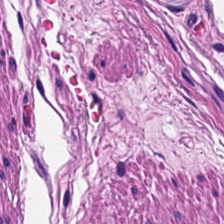WSI patch; formalin-fixed paraffin-embedded section; H&E.
Q: What does this patch show?
A: The field shows smooth-muscle tissue.
